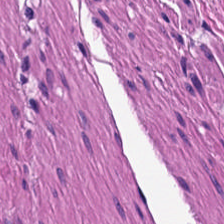H&E-stained tissue section — {"tissue_type": "muscularis"}
